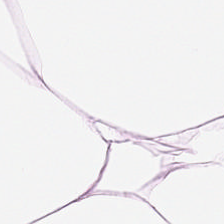Stain: hematoxylin-and-eosin stained section.
Tile size: 224×224 px patch.
Tissue type: adipose tissue.
